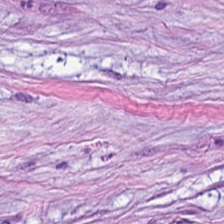H&E — tumor-associated stroma.
